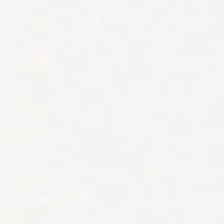0.5 µm/px. H&E-stained tissue section.
No tissue present; background only.
